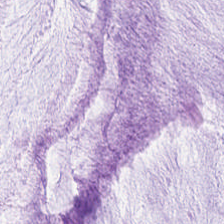Q: What is the predominant tissue type?
A: This is mucus.
